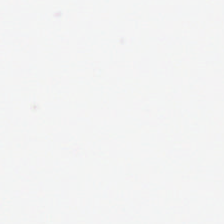The field content is background (no tissue).
